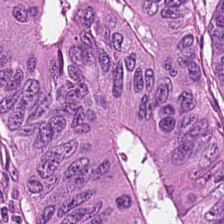Stain: H&E-stained tissue section.
Classification: malignant epithelium.
